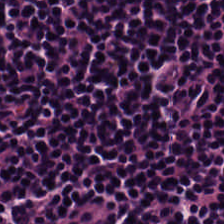0.5 microns per pixel; H&E-stained tissue section. The predominant tissue is lymphoid infiltrate.
